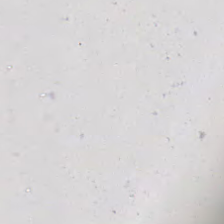H&E-stained tissue section.
Q: What does this patch show?
A: It is empty background.
